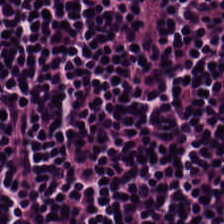The tissue class is lymphocytic infiltrate.
